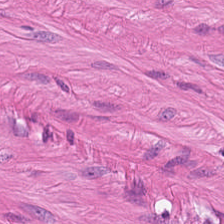Hematoxylin and eosin; brightfield microscopy. This field is smooth muscle.
